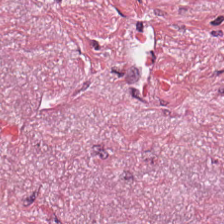H&E-stained tissue section — The tissue type is tumor-associated stroma.
